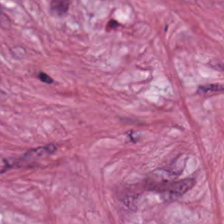Hematoxylin-and-eosin stained section.
The tissue class is desmoplastic stroma.
